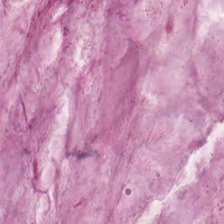Stain: H&E.
Tile size: 224×224 pixel tile.
Classification: extracellular mucin.
